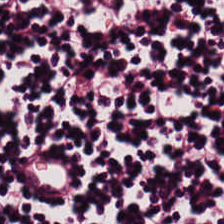The predominant tissue is lymphoid infiltrate.
